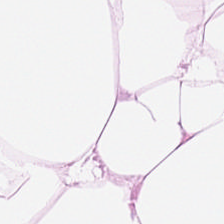H&E-stained tissue section; 224×224 px patch.
Q: Classify this patch.
A: The field shows fat tissue.
